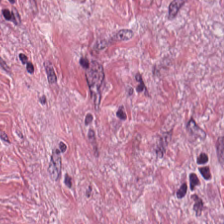Hematoxylin and eosin. FFPE. Cancer-associated stroma.
